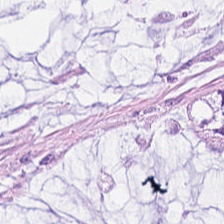This patch shows mucus.
